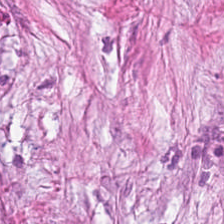0.5 microns per pixel; H&E.
Predominant tissue — desmoplastic stroma.
